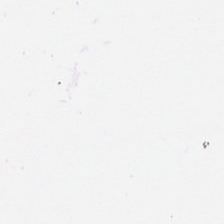H&E-stained tissue section · 0.5 µm per pixel · brightfield.
The field content is background (no tissue).
